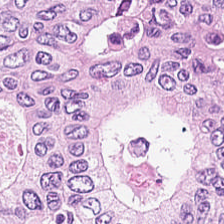Stain: hematoxylin-and-eosin stained section.
Tissue: tumor epithelium.
